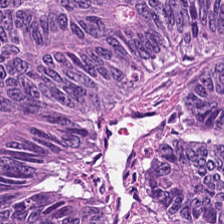Stain: H&E-stained tissue section.
Classification: colorectal adenocarcinoma epithelium.
